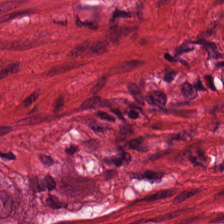Hematoxylin and eosin · 0.5 µm/px.
Tissue = smooth muscle.
